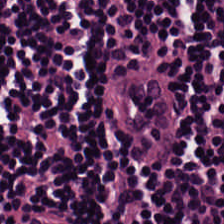WSI patch. H&E-stained tissue section.
Predominant tissue = lymphoid infiltrate.
